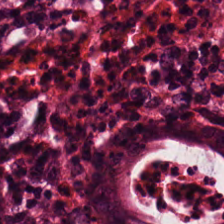H&E stain — Predominantly non-neoplastic colon mucosa.
